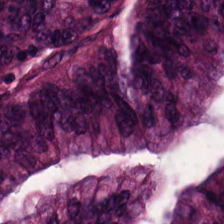Formalin-fixed paraffin-embedded section. H&E-stained tissue section — The tissue here is tumor epithelium.
